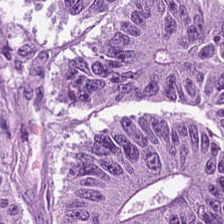Formalin-fixed paraffin-embedded section · 0.5 µm per pixel · H&E-stained tissue section — The predominant tissue is colorectal adenocarcinoma epithelium.
